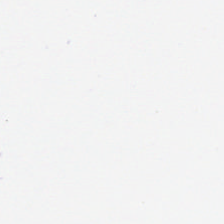Finding → empty background.
